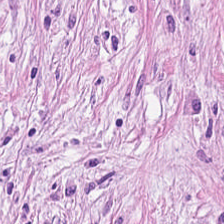Stain: H&E-stained tissue section.
Tissue: tumor-associated stroma.
